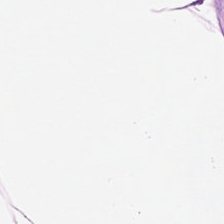Hematoxylin and eosin — The predominant tissue is adipose.
